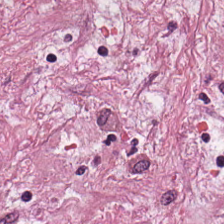Hematoxylin and eosin. Cancer-associated stroma.
